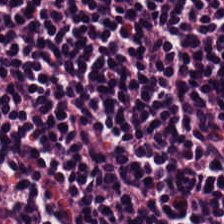H&E; 224×224 px patch. Predominantly lymphoid infiltrate.
